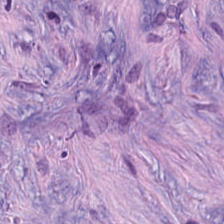The predominant tissue is cancer-associated stroma.
